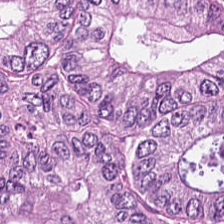H&E-stained tissue section.
Q: What does this patch show?
A: Adenocarcinoma.
